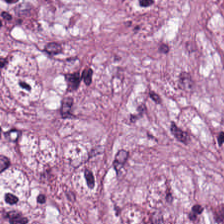H&E stain. 224×224 pixel tile. Brightfield microscopy. The predominant tissue is tumor-associated stroma.
